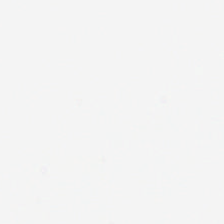{"content": "empty background"}
